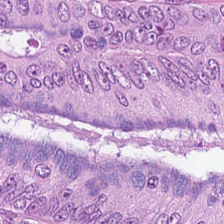20× equivalent magnification · H&E · 224×224 pixel tile — The tissue here is malignant epithelium.
